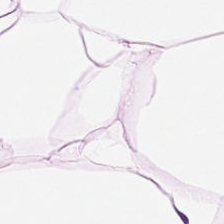Hematoxylin-and-eosin stained section · brightfield. Predominant tissue: adipose.
